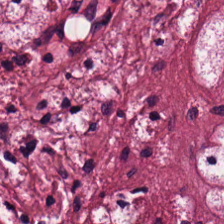Stain: H&E-stained tissue section.
Resolution: 0.5 microns per pixel.
Tile size: 224×224 pixel tile.
Tissue class: tumor stroma.
